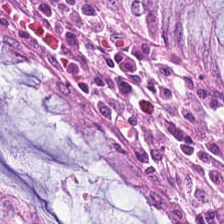Stain: hematoxylin and eosin.
Acquisition: brightfield.
Predominant tissue: benign colonic mucosa.
